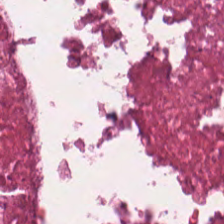224×224 px patch; H&E-stained tissue section.
Q: What is shown in this field?
A: This is necrotic debris.
